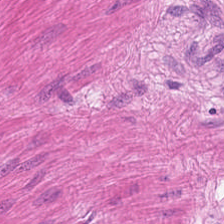Hematoxylin-and-eosin stained section. Predominantly smooth-muscle tissue.
